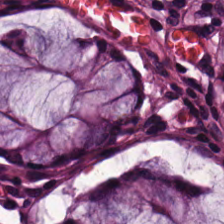H&E-stained tissue section. This field is normal colonic mucosa.
